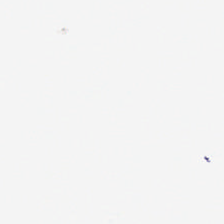FFPE. Hematoxylin-and-eosin stained section — This field is background (no tissue).
